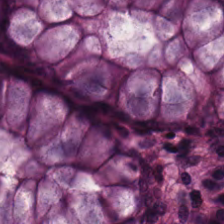Hematoxylin and eosin — Predominant tissue: non-neoplastic colon mucosa.
